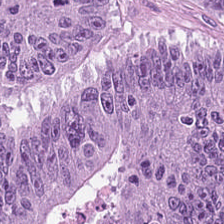Brightfield. H&E — Impression → colorectal adenocarcinoma epithelium.
